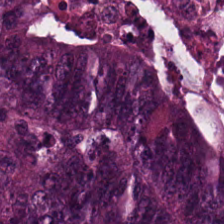0.5 µm per pixel · hematoxylin and eosin. Q: What is shown here?
A: Colorectal adenocarcinoma epithelium.
